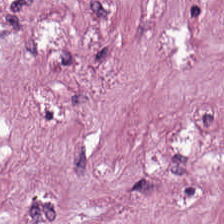Hematoxylin-and-eosin stained section; WSI patch; 224×224 pixel tile — {"tissue_type": "desmoplastic stroma"}
